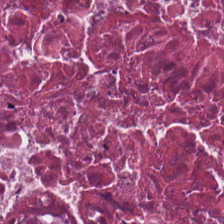H&E-stained tissue section.
Predominantly cellular debris.
